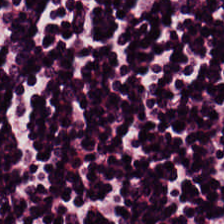Histology → lymphocyte aggregate.
